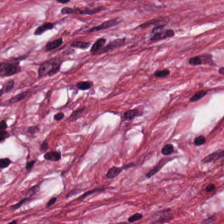Hematoxylin-and-eosin stained section; 224×224 pixel tile. Showing tumor stroma.
